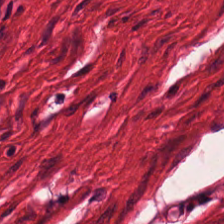224×224 pixel tile; FFPE; hematoxylin-and-eosin stained section. This patch shows muscularis.
